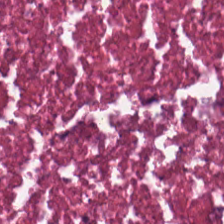FFPE tissue section; hematoxylin and eosin; brightfield.
This field is necrotic debris.
